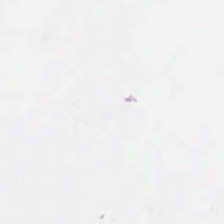Hematoxylin-and-eosin stained section — This field is background (no tissue).
